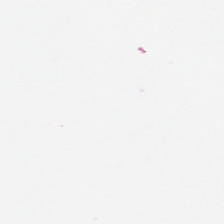Classification — empty background.
